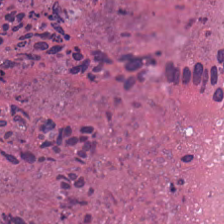Hematoxylin and eosin · formalin-fixed paraffin-embedded section · 20× equivalent magnification — Showing necrotic debris.
